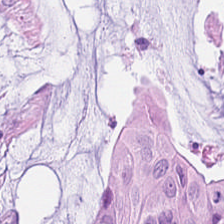Hematoxylin and eosin; formalin-fixed paraffin-embedded section; 224×224 px tile — Tissue type = extracellular mucin.
